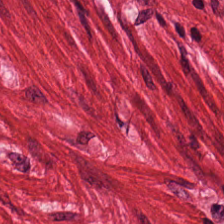H&E-stained tissue section — Predominant tissue = smooth muscle.
